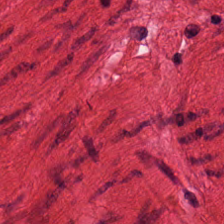FFPE tissue section; H&E stain. This patch shows muscularis.
